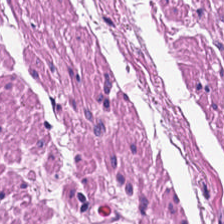Q: Classify this patch.
A: It is smooth-muscle tissue.
